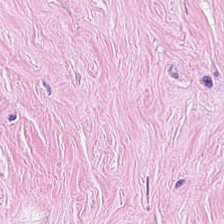Formalin-fixed paraffin-embedded section · H&E-stained tissue section · brightfield. Q: Identify the tissue.
A: The field shows tumor-associated stroma.
